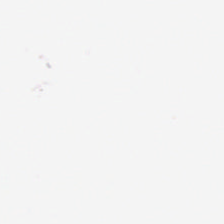Hematoxylin and eosin · 0.5 µm per pixel — This patch shows empty background.
